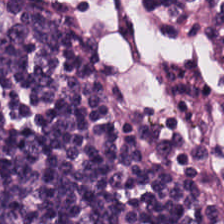Q: What does this patch show?
A: It is lymphocytic infiltrate.
